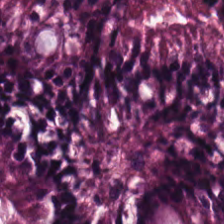The tissue here is benign colonic mucosa.
